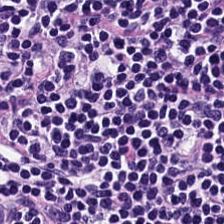Hematoxylin-and-eosin stained section.
Q: What is the predominant tissue type?
A: It is lymphoid infiltrate.
